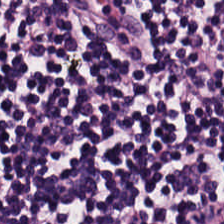Classification = lymphocytes.
